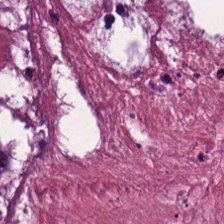H&E · 0.5 µm per pixel.
Impression — cellular debris.
